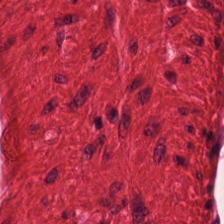Stain: H&E-stained tissue section.
Preparation: FFPE tissue section.
Tissue type: smooth muscle.
